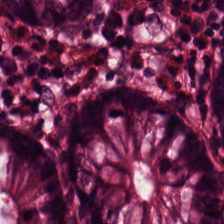H&E — The tissue class is normal colon mucosa.
